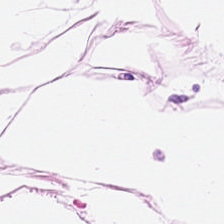H&E-stained tissue section — Classification: adipocytes.
